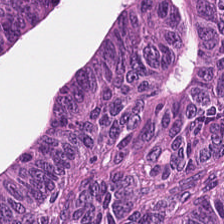H&E. WSI patch. 224×224 px patch — Tissue type = colorectal adenocarcinoma epithelium.
